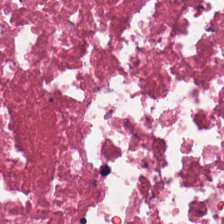Hematoxylin-and-eosin stained section. 224×224 pixel tile.
The predominant tissue is debris.
